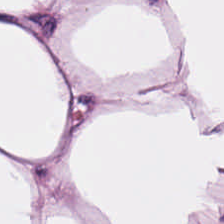H&E. Q: What is the predominant tissue type?
A: This is adipose.
